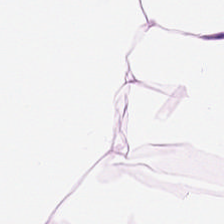Q: Classify this patch.
A: It is adipose.
